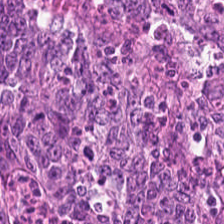FFPE tissue section. H&E. 0.5 microns per pixel. The predominant tissue is tumor epithelium.
